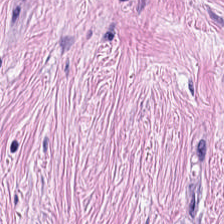Q: Classify this patch.
A: Desmoplastic stroma.
